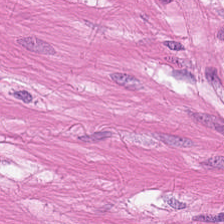Whole-slide-image patch · hematoxylin and eosin. Q: What tissue is shown?
A: This is smooth-muscle tissue.
